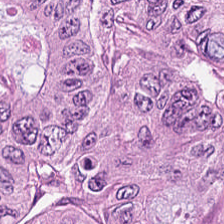Q: What does this patch show?
A: The field shows tumor epithelium.
